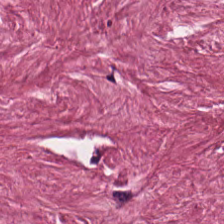Q: Classify this patch.
A: The field shows tumor stroma.
